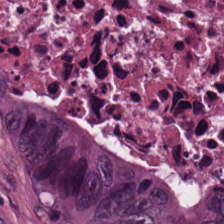Stain: hematoxylin-and-eosin stained section.
Tile size: 224×224 px tile.
Acquisition: whole-slide-image patch.
Tissue class: necrotic debris.
